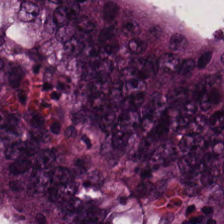0.5 microns per pixel · hematoxylin and eosin · FFPE — Tissue — malignant epithelium.
